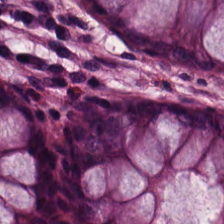Hematoxylin-and-eosin stained section — Tissue type = normal colon mucosa.
